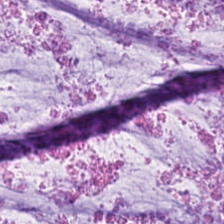Hematoxylin and eosin.
This patch shows mucin.
